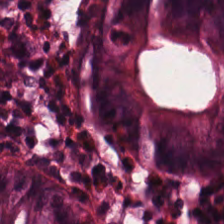H&E-stained tissue section showing non-neoplastic colon mucosa.
